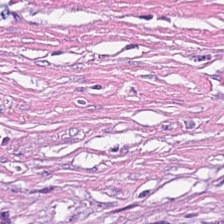Hematoxylin and eosin.
Tissue: tumor-associated stroma.
